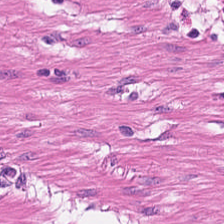Hematoxylin-and-eosin stained section. Classification: muscularis.
